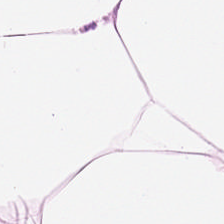H&E-stained tissue section.
Adipose.
